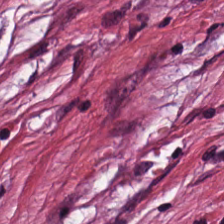H&E-stained tissue section. {"tissue_type": "tumor stroma"}
